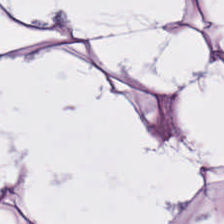H&E-stained tissue section. Formalin-fixed paraffin-embedded section — Histology — adipose.
